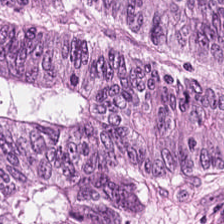Q: Classify this patch.
A: It is malignant epithelium.
